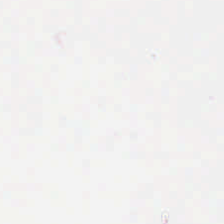H&E — The field content is background.
